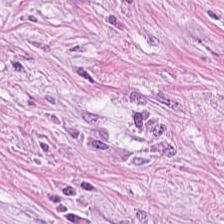FFPE · H&E — This patch shows tumor-associated stroma.
